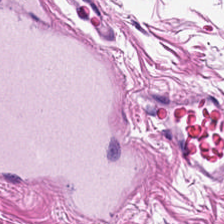WSI patch; H&E-stained tissue section; formalin-fixed paraffin-embedded section — Classification: muscularis.
